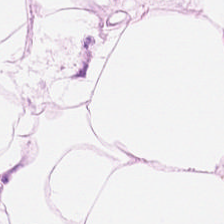Stain: hematoxylin-and-eosin stained section.
Tissue type: adipose tissue.
